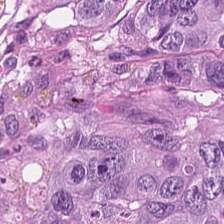Formalin-fixed paraffin-embedded section. Hematoxylin and eosin.
Tumor epithelium.
